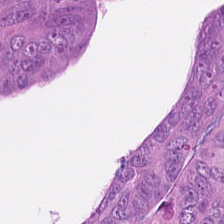H&E-stained tissue section showing colorectal adenocarcinoma.
